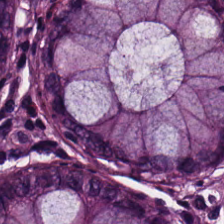Stain: H&E.
Classification: benign colonic mucosa.
